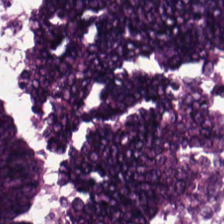0.5 µm/px. 224×224 px patch. Hematoxylin and eosin. Predominant tissue — colorectal adenocarcinoma.
